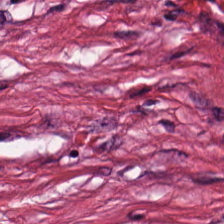FFPE · 0.5 µm/px · H&E-stained tissue section — Q: Identify the tissue.
A: It is desmoplastic stroma.
